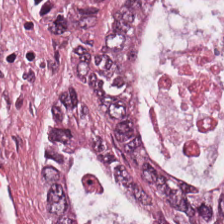Hematoxylin and eosin. Showing colorectal adenocarcinoma.
